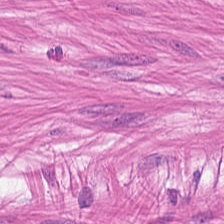H&E-stained tissue section. Predominantly smooth muscle.
